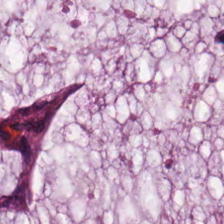The tissue class is extracellular mucin.
